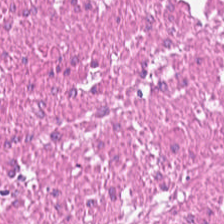H&E stain — Showing muscularis.
